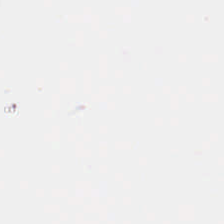H&E; 224×224 px patch — Q: What does this patch show?
A: The field shows background.
